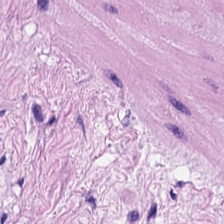Hematoxylin-and-eosin stained section. Tissue type: smooth muscle.
